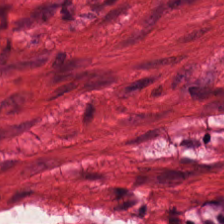H&E stain — The predominant tissue is smooth-muscle tissue.
